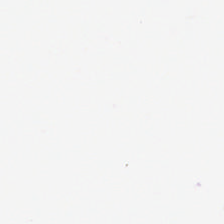Hematoxylin-and-eosin stained section · WSI patch · FFPE tissue section.
Background.
